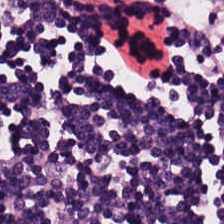Stain: hematoxylin-and-eosin stained section.
Tissue class: lymphocytic infiltrate.
